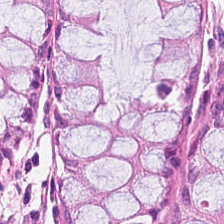Hematoxylin-and-eosin stained section — Histology — non-neoplastic colon mucosa.
